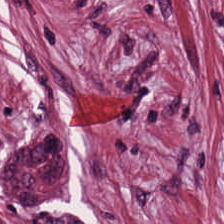Hematoxylin-and-eosin stained section. The tissue type is cancer-associated stroma.
